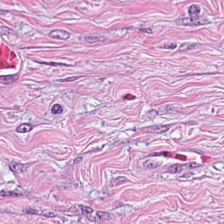Brightfield. H&E-stained tissue section — The tissue is cancer-associated stroma.
